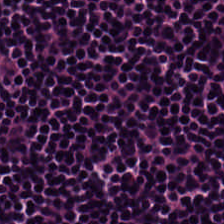H&E.
Tissue: lymphocyte aggregate.
